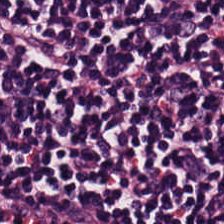The classification is lymphoid infiltrate.
